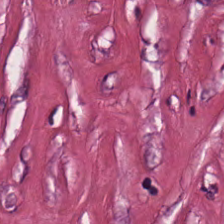H&E-stained tissue section showing cancer-associated stroma.
